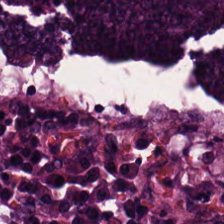224×224 pixel tile; H&E. {"tissue_type": "malignant epithelium"}
